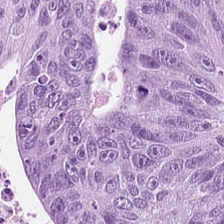Hematoxylin-and-eosin stained section.
Classification = malignant epithelium.
